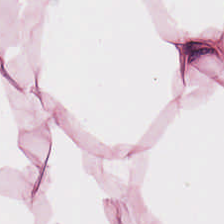Hematoxylin and eosin. Tissue: adipocytes.
